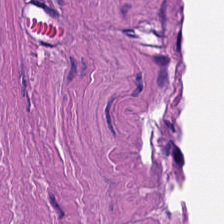Impression → muscularis.
